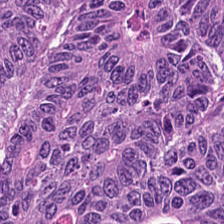H&E · 20× equivalent magnification — {"tissue_type": "malignant epithelium"}
